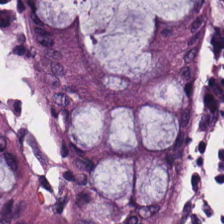H&E. Impression — benign colonic mucosa.
